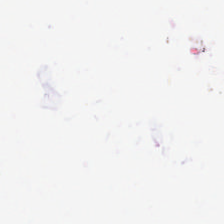FFPE tissue section. Brightfield. Hematoxylin-and-eosin stained section.
Empty field — no tissue.
